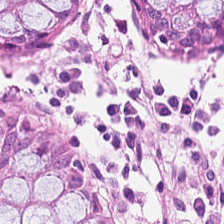H&E. Classification = normal colonic mucosa.
